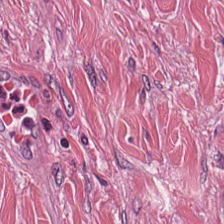0.5 µm/px. H&E stain. Q: What is shown in this field?
A: Desmoplastic stroma.
